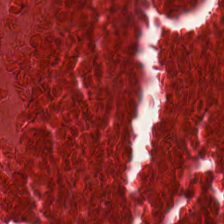Stain: H&E.
Tissue class: debris.
